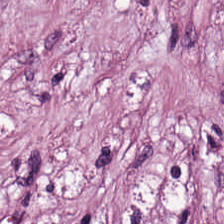Hematoxylin and eosin · 224×224 px patch · brightfield microscopy — Tissue: desmoplastic stroma.
